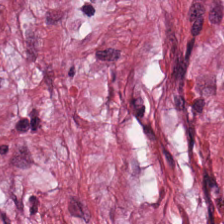The tissue here is desmoplastic stroma.
